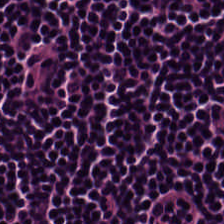H&E-stained tissue section. Showing lymphocytes.
